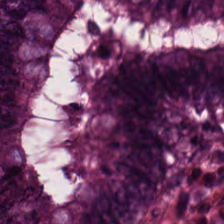Stain: H&E-stained tissue section.
Preparation: formalin-fixed paraffin-embedded section.
Classification: benign colonic mucosa.
